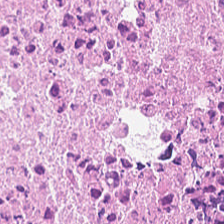H&E · FFPE tissue section — Tissue = cellular debris.
